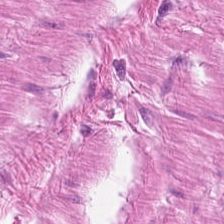Hematoxylin and eosin — Tissue class — smooth muscle.
